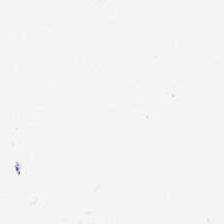Hematoxylin and eosin.
Classification — background.
